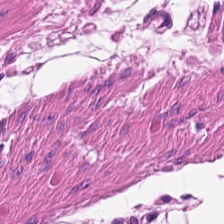Stain: H&E-stained tissue section.
Tile size: 224×224 px tile.
Predominant tissue: smooth-muscle tissue.
